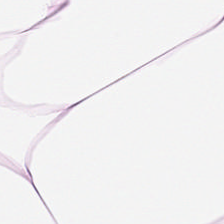224×224 px patch · 20× equivalent magnification · hematoxylin-and-eosin stained section. Predominant tissue — adipose tissue.
